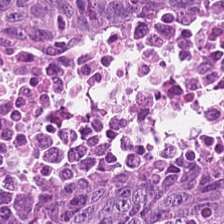Hematoxylin-and-eosin stained section; 20× equivalent magnification — Predominantly malignant epithelium.
